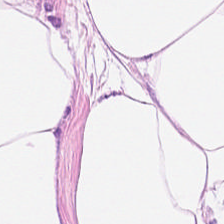Stain: H&E-stained tissue section.
Tissue class: adipose tissue.
